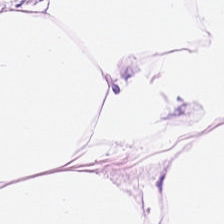Hematoxylin and eosin. FFPE — Finding — adipose tissue.
